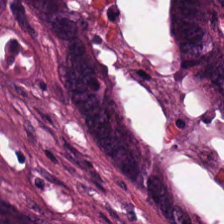FFPE; brightfield; hematoxylin and eosin. Q: What type of tissue is this?
A: It is adenocarcinoma.
